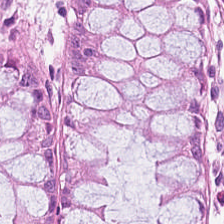Hematoxylin-and-eosin stained section · 0.5 microns per pixel — Tissue — benign colonic mucosa.
